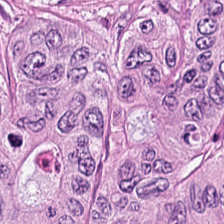FFPE tissue section; 224×224 px patch; hematoxylin-and-eosin stained section. The tissue type is colorectal adenocarcinoma.
